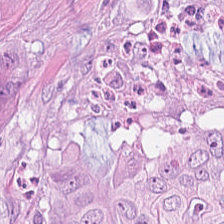Hematoxylin-and-eosin stained section; 224×224 px tile — Q: What type of tissue is this?
A: Adenocarcinoma.
